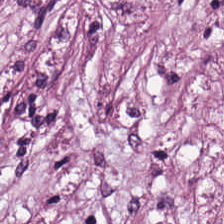H&E stain.
Q: What is shown here?
A: Tumor stroma.
